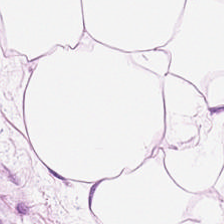Hematoxylin-and-eosin stained section.
Tissue class — adipose tissue.
